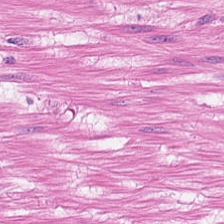Stain: H&E-stained tissue section.
Classification: smooth muscle.
